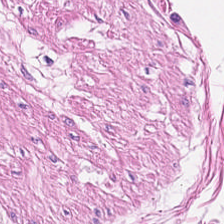Stain: hematoxylin-and-eosin stained section.
Classification: smooth-muscle tissue.
